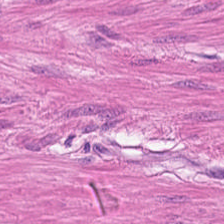Q: What is shown here?
A: This is smooth muscle.
